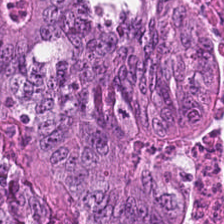Stain: H&E-stained tissue section.
Acquisition: brightfield.
Predominant tissue: adenocarcinoma.
